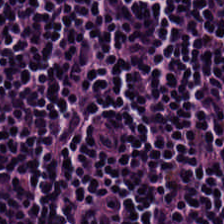H&E-stained tissue section. Brightfield. Showing lymphoid infiltrate.
